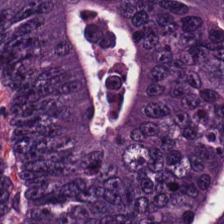Formalin-fixed paraffin-embedded section. Hematoxylin and eosin. WSI patch.
{"tissue_type": "tumor epithelium"}
